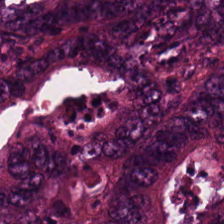H&E-stained tissue section showing tumor epithelium.
